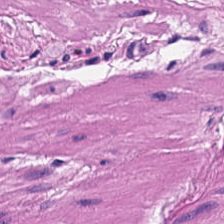Tissue: smooth muscle.
